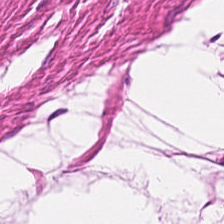H&E-stained tissue section · WSI patch · 0.5 µm/px — Q: Identify the tissue.
A: The field shows smooth-muscle tissue.
